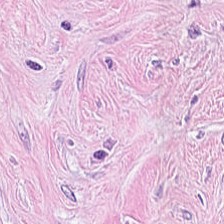The tissue here is desmoplastic stroma.
